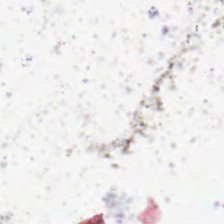H&E stain — Q: Classify this patch.
A: Empty background.
